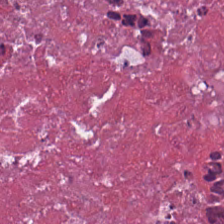Q: Classify this patch.
A: The field shows cellular debris.
